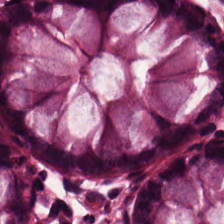FFPE. H&E-stained tissue section. Showing non-neoplastic colon mucosa.
